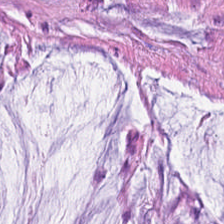Hematoxylin-and-eosin stained section. The tissue here is mucus.
